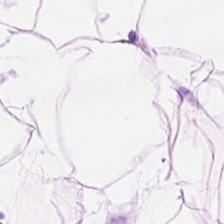H&E · formalin-fixed paraffin-embedded section · whole-slide-image patch — Tissue type: adipocytes.
